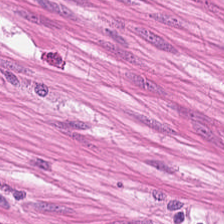Stain: H&E stain.
Tissue: smooth-muscle tissue.
